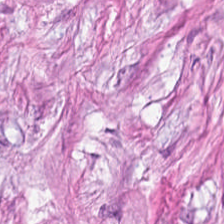Q: What type of tissue is this?
A: This is desmoplastic stroma.
